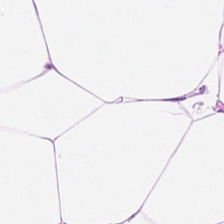H&E stain.
Tissue type — adipocytes.
